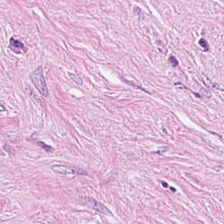Hematoxylin-and-eosin section: tumor stroma.
